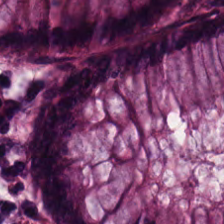H&E stain.
The predominant tissue is non-neoplastic colon mucosa.
